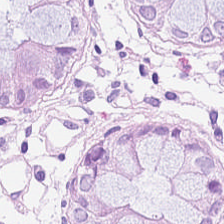Finding — normal colon mucosa.
